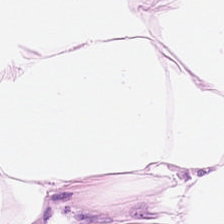Hematoxylin and eosin.
The predominant tissue is adipocytes.
